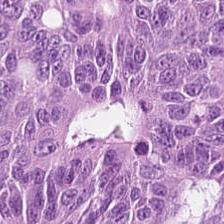H&E — Tissue = colorectal adenocarcinoma epithelium.
